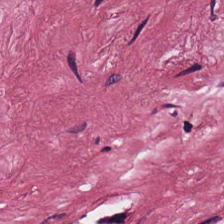Brightfield. H&E. FFPE tissue section. The predominant tissue is desmoplastic stroma.
